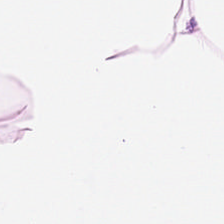WSI patch · 224×224 pixel tile · H&E stain — {"tissue_type": "fat tissue"}
